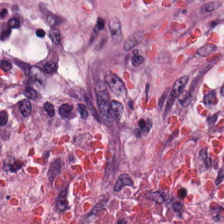Hematoxylin-and-eosin stained section; 0.5 µm/px; FFPE. Histology — cellular debris.
